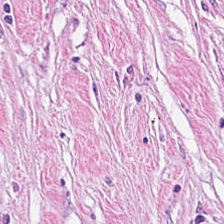H&E-stained tissue section. Whole-slide-image patch — Tissue class: tumor-associated stroma.
